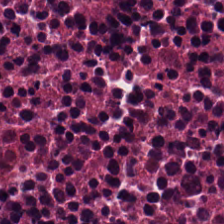Stain: H&E.
Tile size: 224×224 px tile.
Tissue: debris.
